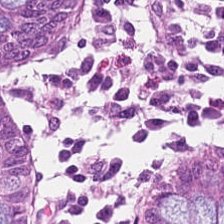H&E-stained tissue section. Tissue type = normal colon mucosa.
